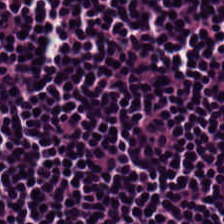Brightfield microscopy; H&E-stained tissue section.
Showing lymphocyte aggregate.
